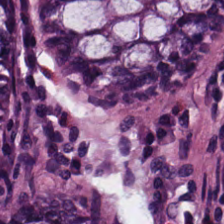H&E. Whole-slide-image patch.
The classification is normal colonic mucosa.
